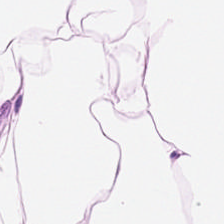224×224 px tile. Hematoxylin-and-eosin stained section.
Showing fat tissue.
